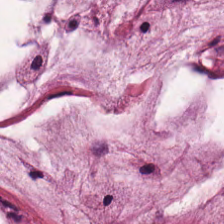Hematoxylin and eosin.
Predominantly mucus.
